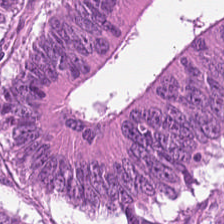Hematoxylin-and-eosin stained section. 20× equivalent magnification.
The tissue is colorectal adenocarcinoma.
